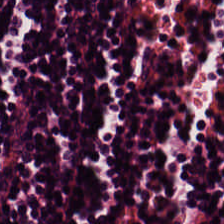H&E-stained tissue section. FFPE. Tissue class: lymphoid infiltrate.
